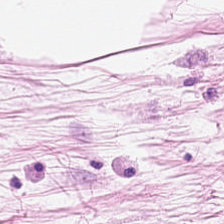Stain: H&E-stained tissue section.
Resolution: 0.5 µm/px.
Preparation: FFPE.
Tissue: adipose tissue.
